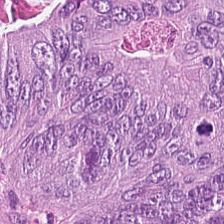Formalin-fixed paraffin-embedded section; 20× equivalent magnification; H&E-stained tissue section — Q: What is the predominant tissue type?
A: Malignant epithelium.
